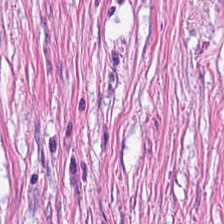Tissue: tumor stroma.
